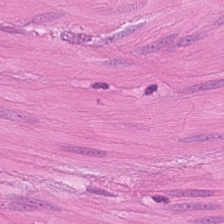H&E stain.
Tissue class = muscularis.
